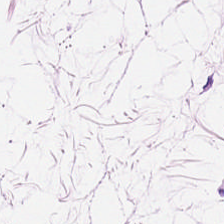This patch shows adipose.
